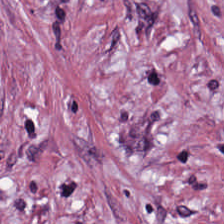Formalin-fixed paraffin-embedded section; H&E stain.
The predominant tissue is desmoplastic stroma.
